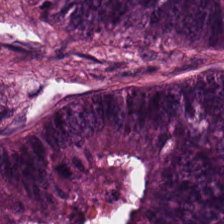224×224 px tile. 20× equivalent magnification. Hematoxylin-and-eosin stained section. This patch shows adenocarcinoma.
